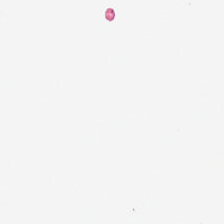H&E. Finding — no tissue.
